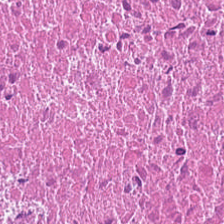Hematoxylin and eosin.
This patch shows necrotic debris.
